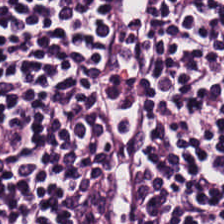0.5 µm/px. H&E stain. Predominantly lymphocyte aggregate.
